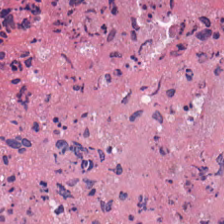Stain: H&E stain.
Tissue class: debris.
